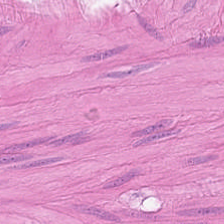Predominant tissue: smooth muscle.
